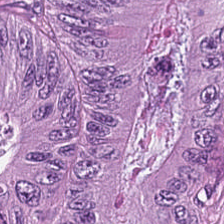The classification is colorectal adenocarcinoma.
